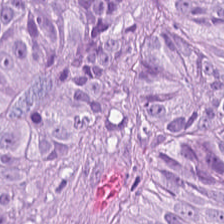Hematoxylin-and-eosin stained section.
Q: What tissue type is shown here?
A: Tumor epithelium.
